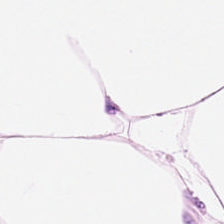Hematoxylin-and-eosin stained section. 0.5 µm per pixel. Formalin-fixed paraffin-embedded section — This patch shows fat tissue.
